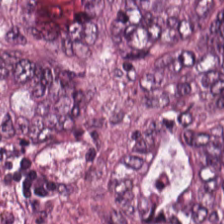H&E — adenocarcinoma.
